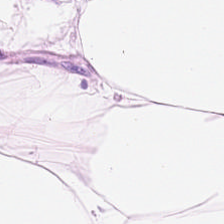H&E; formalin-fixed paraffin-embedded section; 224×224 pixel tile — Tissue — fat tissue.
